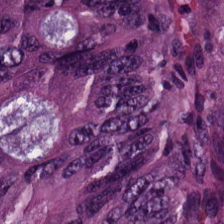0.5 microns per pixel. Hematoxylin and eosin.
{"tissue_type": "colorectal adenocarcinoma epithelium"}
